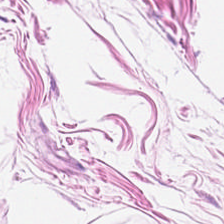H&E-stained tissue section · formalin-fixed paraffin-embedded section · 0.5 microns per pixel — This patch shows adipose.
